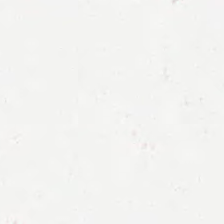Whole-slide-image patch. Hematoxylin-and-eosin stained section. The field content is background.
